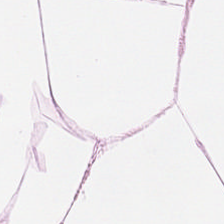Tissue = adipocytes.
